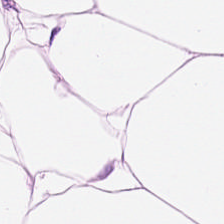H&E stain. 0.5 µm/px — Q: What is shown in this field?
A: The field shows adipose tissue.
